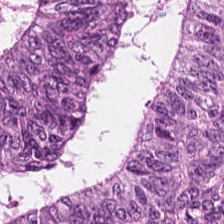Stain: H&E-stained tissue section.
Tissue type: colorectal adenocarcinoma.
